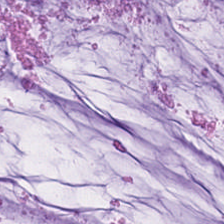Stain: H&E-stained tissue section.
Tile size: 224×224 px tile.
Acquisition: whole-slide-image patch.
Predominant tissue: extracellular mucin.
